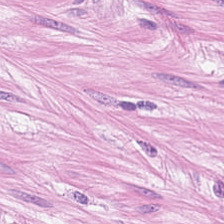Stain: hematoxylin-and-eosin stained section.
Acquisition: whole-slide-image patch.
Tissue type: muscularis.
